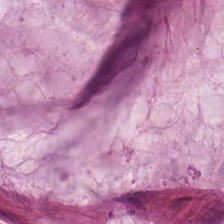H&E — The predominant tissue is extracellular mucin.
